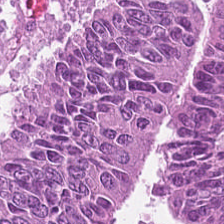Hematoxylin and eosin; 224×224 px patch; 0.5 microns per pixel — The tissue here is malignant epithelium.
